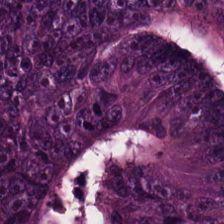Whole-slide-image patch. H&E stain. 224×224 pixel tile. Histology → colorectal adenocarcinoma epithelium.
